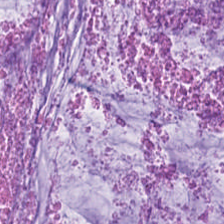Stain: hematoxylin-and-eosin stained section.
Tissue type: mucin.
